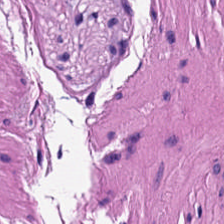Hematoxylin-and-eosin stained section.
Tissue class — smooth-muscle tissue.
